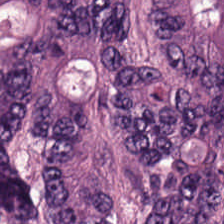Stain: hematoxylin-and-eosin stained section.
Tissue: colorectal adenocarcinoma.
